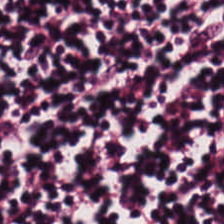Tissue class = lymphocytic infiltrate.
